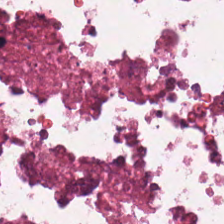Hematoxylin-and-eosin stained section · 20× equivalent magnification — Q: What is shown in this field?
A: Cellular debris.
